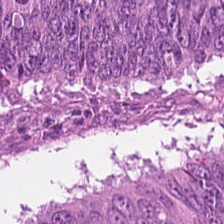Brightfield · hematoxylin and eosin. Classification = malignant epithelium.
